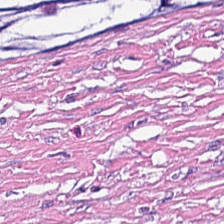Whole-slide-image patch. Formalin-fixed paraffin-embedded section. H&E stain. Classification: tumor stroma.
